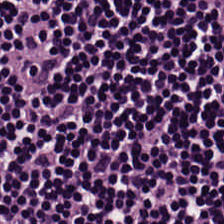H&E stain — The tissue here is lymphocyte aggregate.
